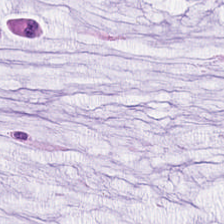H&E stain · formalin-fixed paraffin-embedded section. The tissue is extracellular mucin.
